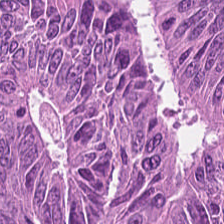{"tissue_type": "colorectal adenocarcinoma epithelium"}
